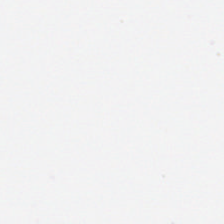The content is background.
